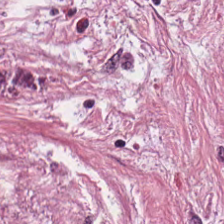{"tissue_type": "tumor-associated stroma"}
